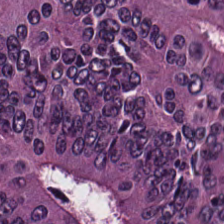H&E-stained tissue section · 224×224 px tile · FFPE tissue section — {"tissue_type": "adenocarcinoma"}
